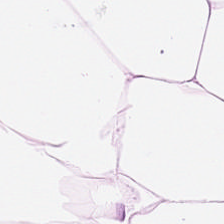Showing fat tissue.
